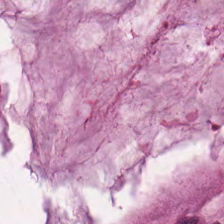Hematoxylin and eosin. Tissue — mucus.
